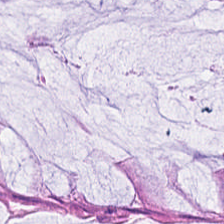Impression → normal colon mucosa.
